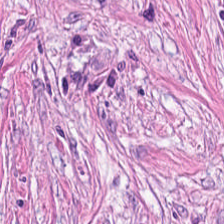0.5 µm/px · H&E stain — Q: What does this patch show?
A: It is desmoplastic stroma.
